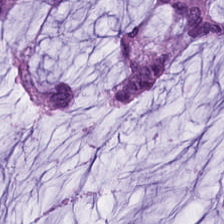224×224 pixel tile; H&E-stained tissue section. Histology → mucus.
